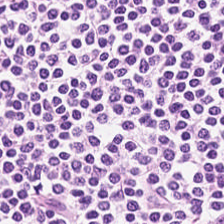Hematoxylin-and-eosin stained section — Q: Classify this patch.
A: It is lymphocytic infiltrate.
